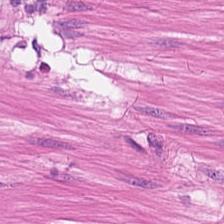0.5 microns per pixel. Hematoxylin-and-eosin stained section. This patch shows smooth muscle.
